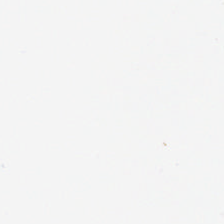H&E; brightfield.
Field content — no tissue.
